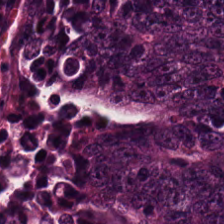Hematoxylin and eosin — The tissue is malignant epithelium.
